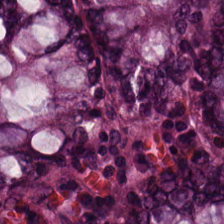{"tissue_type": "non-neoplastic colon mucosa"}
